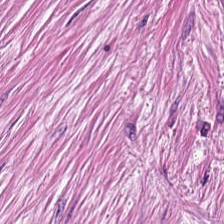H&E; 0.5 µm/px — The tissue here is tumor-associated stroma.
